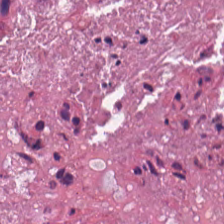{"tissue_type": "cellular debris"}
